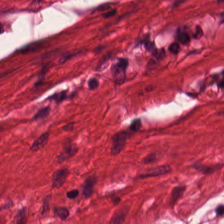H&E — This patch shows muscularis.
